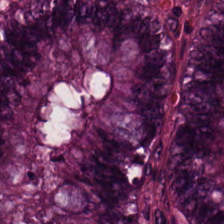The tissue here is normal colon mucosa.
